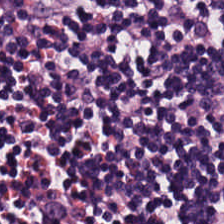H&E stain.
Classification: lymphocytic infiltrate.
